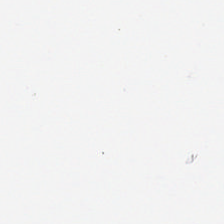Q: Classify this patch.
A: This is background.
